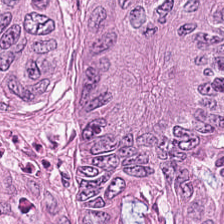H&E-stained tissue section. Histology — adenocarcinoma.
